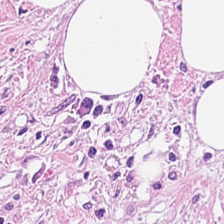H&E-stained tissue section · 0.5 µm per pixel. Tumor stroma.
